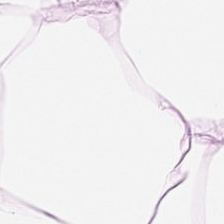H&E-stained tissue section. The predominant tissue is adipose.
